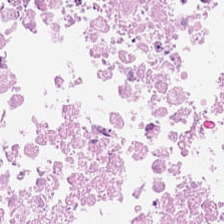Hematoxylin and eosin — Q: What does this patch show?
A: This is debris.
